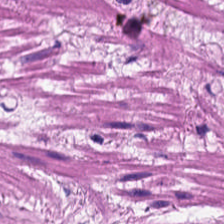H&E-stained section; the field shows smooth-muscle tissue.
